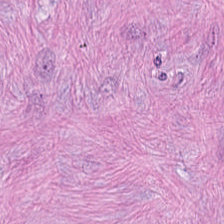Hematoxylin and eosin — Histology — tumor-associated stroma.
